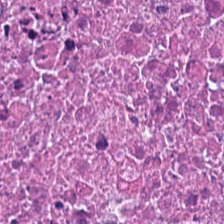Hematoxylin and eosin. Showing debris.
